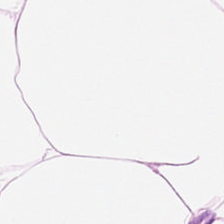H&E stain. The classification is adipose.
